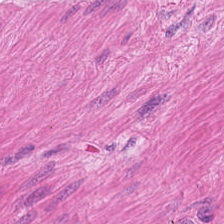Hematoxylin-and-eosin stained section.
{"tissue_type": "smooth-muscle tissue"}
